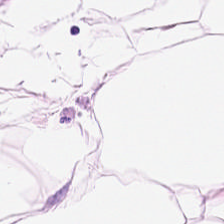H&E. Q: What tissue is shown?
A: The field shows fat tissue.
